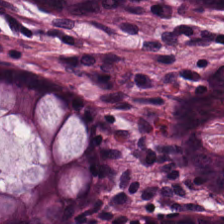H&E. Q: What tissue is shown?
A: The field shows normal colonic mucosa.
